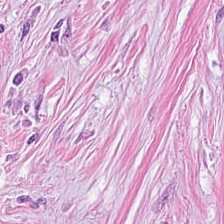H&E-stained tissue section showing cancer-associated stroma.
